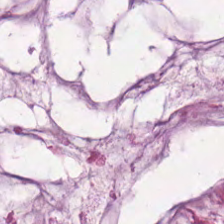Stain: H&E.
Preparation: formalin-fixed paraffin-embedded section.
Classification: mucus.
